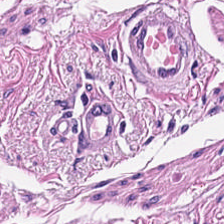Hematoxylin-and-eosin stained section; FFPE; 224×224 pixel tile — Q: Classify this patch.
A: Muscularis.
